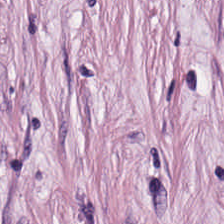Stain: hematoxylin and eosin.
Predominant tissue: tumor-associated stroma.
